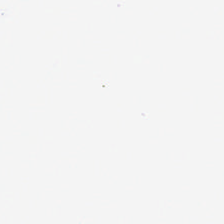H&E-stained tissue section · FFPE tissue section — Background — no tissue in this field.
